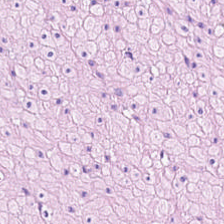224×224 pixel tile; H&E — Showing smooth muscle.
